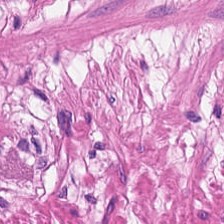Stain: hematoxylin and eosin.
Classification: smooth muscle.
